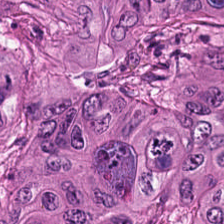Showing tumor epithelium.
